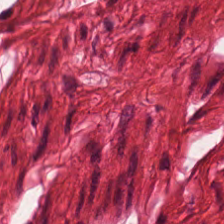H&E.
Q: What tissue is shown?
A: Muscularis.
